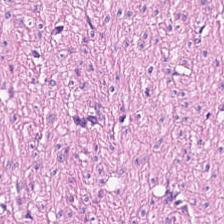Tissue = muscularis.
